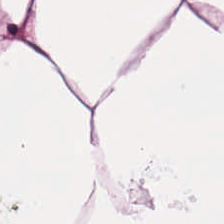Stain: H&E.
Resolution: 0.5 µm/px.
Tile size: 224×224 pixel tile.
Tissue: adipose tissue.
